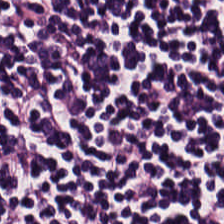H&E-stained tissue section. Tissue type: lymphocytes.
